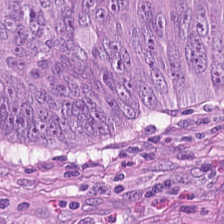Hematoxylin-and-eosin stained section. FFPE tissue section. Brightfield microscopy. Tissue class = colorectal adenocarcinoma epithelium.
